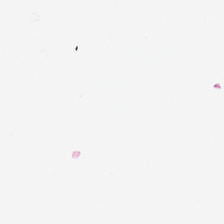H&E stain · FFPE tissue section · brightfield.
Histology → background.
